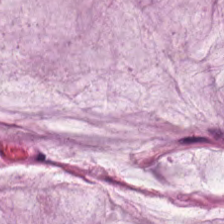The predominant tissue is mucus.
